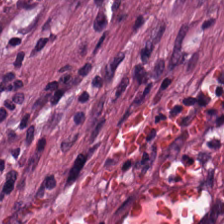Hematoxylin and eosin · 0.5 µm per pixel · formalin-fixed paraffin-embedded section. Finding — tumor stroma.
